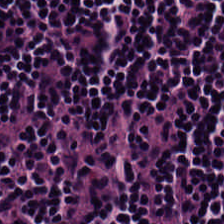H&E. Lymphocyte aggregate.
